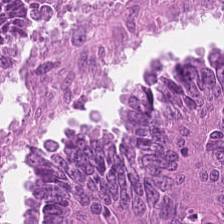224×224 px tile · hematoxylin and eosin — Colorectal adenocarcinoma.
